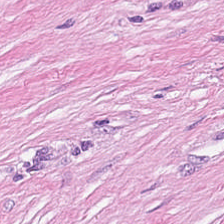Stain: H&E.
Tile size: 224×224 px tile.
Tissue type: tumor-associated stroma.
